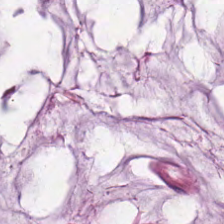224×224 px patch. Hematoxylin and eosin. This field is mucin.
